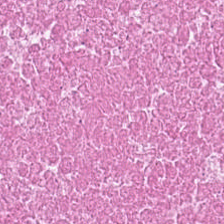H&E; FFPE tissue section — Tissue class = cellular debris.
